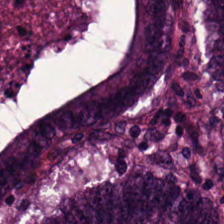H&E. 224×224 px patch.
{"tissue_type": "adenocarcinoma"}
